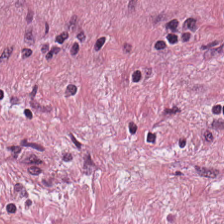224×224 px patch. 20× equivalent magnification. H&E. This field is tumor-associated stroma.
